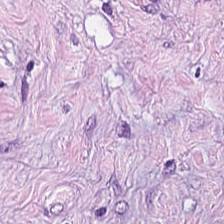H&E-stained tissue section. Tissue type = cancer-associated stroma.
